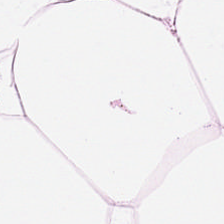Hematoxylin-and-eosin stained section.
Showing adipose tissue.
